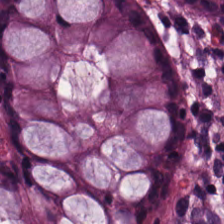H&E stain · 0.5 µm per pixel.
The tissue class is normal colonic mucosa.
